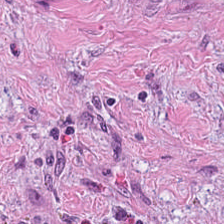H&E-stained tissue section — Cancer-associated stroma.
